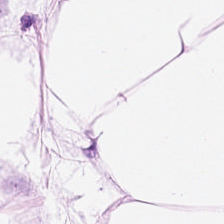Q: Identify the tissue.
A: Adipocytes.
